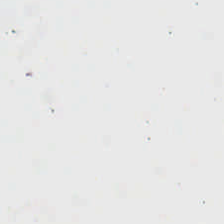No tissue present; background only.
